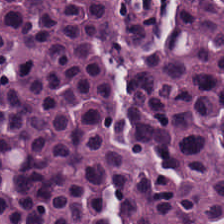Tissue type: lymphocyte aggregate.
